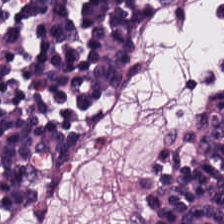224×224 px patch; H&E. This field is lymphocytes.
